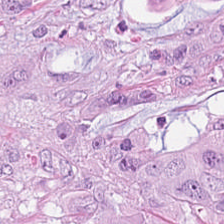Brightfield microscopy. H&E-stained tissue section.
Q: What is shown in this field?
A: The field shows colorectal adenocarcinoma.
